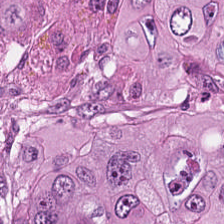20× equivalent magnification. Hematoxylin-and-eosin stained section. 224×224 pixel tile.
Tissue class — colorectal adenocarcinoma epithelium.
